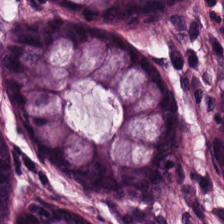Hematoxylin and eosin — Finding — benign colonic mucosa.
